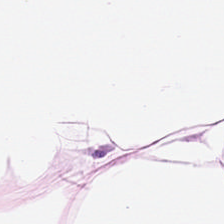Q: What tissue is shown?
A: Adipose tissue.
